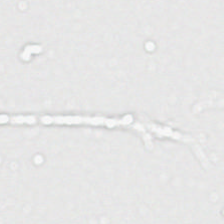Hematoxylin-and-eosin stained section.
This field is background (no tissue).
